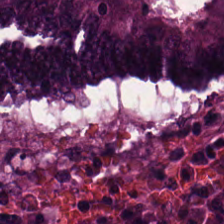H&E — Q: What is the predominant tissue type?
A: This is colorectal adenocarcinoma.
